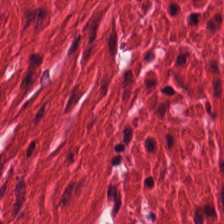Brightfield microscopy; H&E stain; 20× equivalent magnification — Predominantly smooth-muscle tissue.
